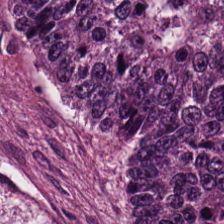H&E-stained tissue section. 224×224 pixel tile. Brightfield microscopy. Showing adenocarcinoma.
